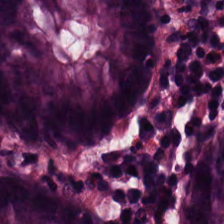The predominant tissue is normal colonic mucosa.
